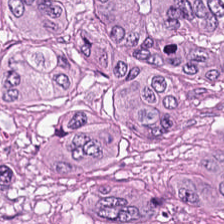H&E stain. Histology — colorectal adenocarcinoma.
